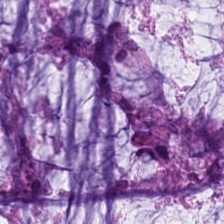224×224 px tile. H&E stain.
Tissue type — extracellular mucin.
